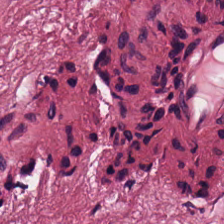0.5 µm per pixel; hematoxylin and eosin.
Q: What does this patch show?
A: Tumor stroma.
